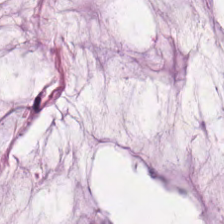20× equivalent magnification. H&E stain.
The tissue here is extracellular mucin.
